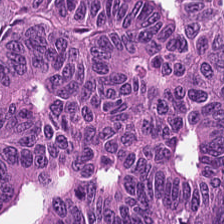H&E — Predominantly malignant epithelium.
